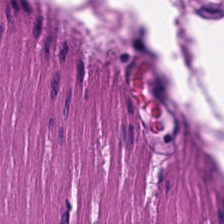Stain: hematoxylin and eosin.
Resolution: 20× equivalent magnification.
Acquisition: brightfield microscopy.
Classification: smooth-muscle tissue.
